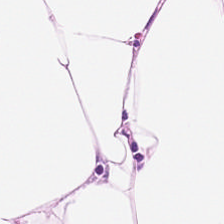Brightfield; hematoxylin-and-eosin stained section. The predominant tissue is adipose.
